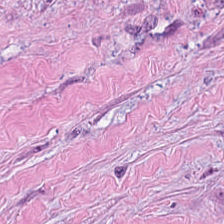Hematoxylin-and-eosin stained section.
Predominant tissue = cancer-associated stroma.
